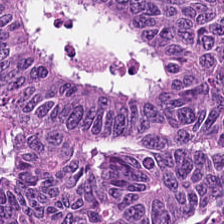H&E-stained tissue section. Q: What tissue is shown?
A: This is colorectal adenocarcinoma.
